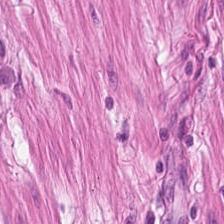Stain: hematoxylin-and-eosin stained section.
Tissue type: smooth muscle.
